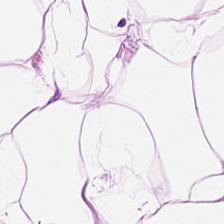Showing adipose.
